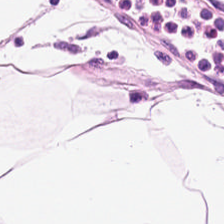Stain: hematoxylin and eosin.
Tissue: adipose.
